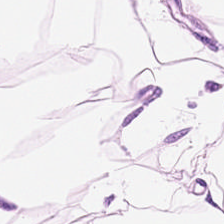H&E.
The predominant tissue is adipose tissue.
